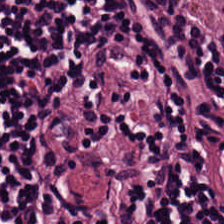Whole-slide-image patch. 0.5 µm/px. H&E — Predominant tissue — lymphocyte aggregate.
